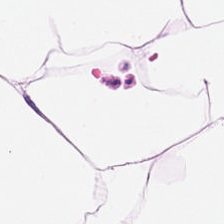H&E-stained tissue section. The predominant tissue is fat tissue.
